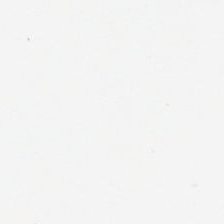0.5 µm/px. Hematoxylin-and-eosin stained section — This patch shows background.
